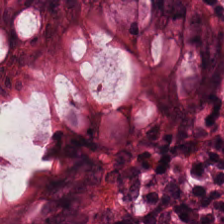H&E-stained tissue section — Histology — normal colonic mucosa.
